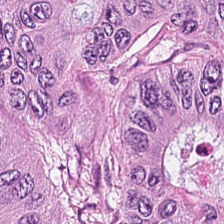H&E-stained tissue section.
The tissue here is colorectal adenocarcinoma epithelium.
